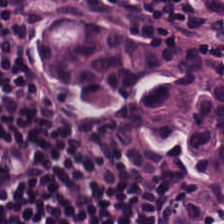FFPE tissue section · WSI patch · hematoxylin and eosin.
The tissue here is lymphoid infiltrate.
